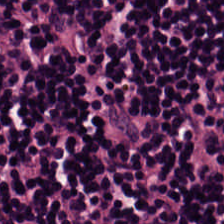Hematoxylin-and-eosin stained section — Q: What does this patch show?
A: It is lymphoid infiltrate.
